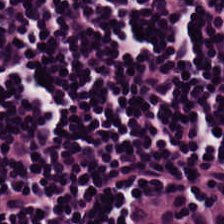H&E stain. The predominant tissue is lymphocytic infiltrate.
